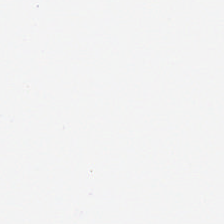Hematoxylin-and-eosin stained section.
This patch shows empty background.
